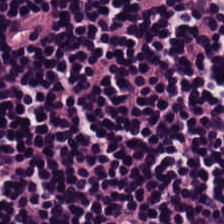Hematoxylin and eosin. Q: What is shown here?
A: Lymphocytic infiltrate.
